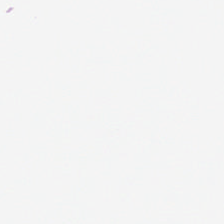Hematoxylin and eosin. WSI patch.
{"content": "no tissue"}
